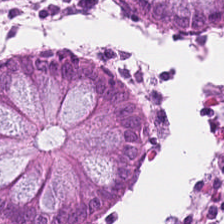Predominant tissue — normal colon mucosa.
